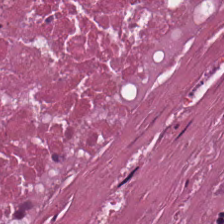Tissue = debris.
